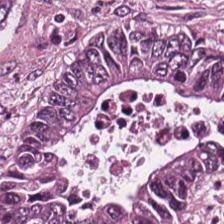H&E-stained tissue section — Q: What type of tissue is this?
A: This is adenocarcinoma.
